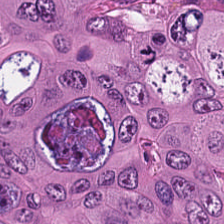Stain: hematoxylin and eosin.
Tissue: colorectal adenocarcinoma.
